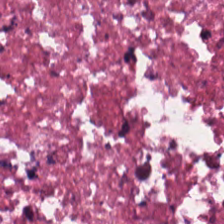FFPE tissue section. 224×224 pixel tile. H&E.
Q: What type of tissue is this?
A: The field shows debris.
